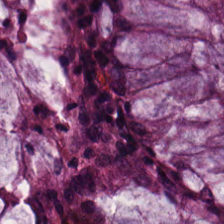H&E — The tissue is normal colon mucosa.
